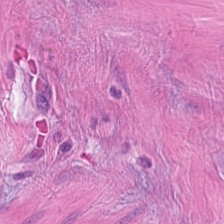Tissue: smooth-muscle tissue.
